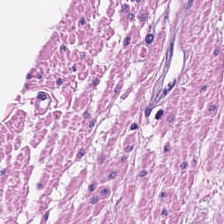Stain: H&E-stained tissue section.
Predominant tissue: muscularis.
